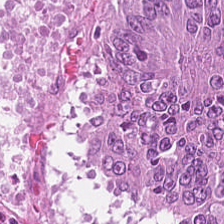H&E-stained tissue section; 224×224 pixel tile; FFPE tissue section.
This patch shows adenocarcinoma.
